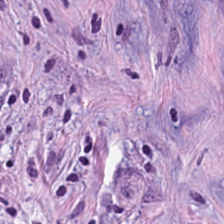Stain: hematoxylin and eosin.
Tissue class: tumor stroma.
